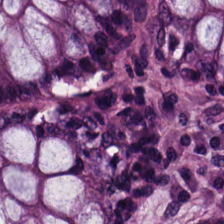H&E patch showing non-neoplastic colon mucosa.
